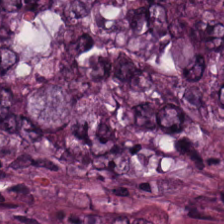H&E · 0.5 µm per pixel · 224×224 pixel tile.
{"tissue_type": "colorectal adenocarcinoma"}
